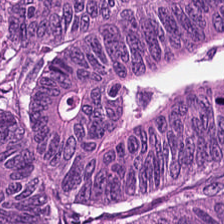Q: What tissue type is shown here?
A: Tumor epithelium.
